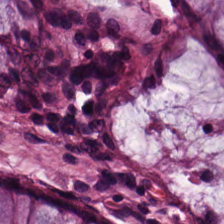Q: What is the predominant tissue type?
A: Benign colonic mucosa.
